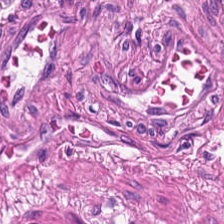H&E stain · 224×224 px tile · 0.5 microns per pixel — Histology — smooth muscle.
